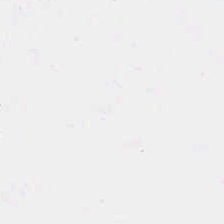Q: What is shown here?
A: This is no tissue.
